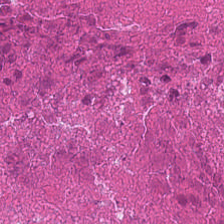Stain: H&E stain.
Tissue type: cellular debris.
